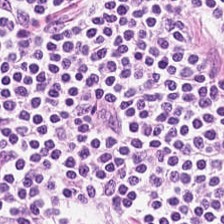{"tissue_type": "lymphocyte aggregate"}
